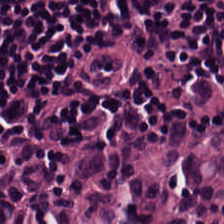Formalin-fixed paraffin-embedded section. 224×224 px tile. H&E stain.
Q: Identify the tissue.
A: It is lymphoid infiltrate.
